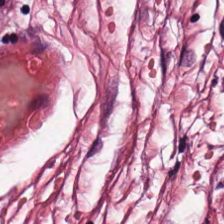H&E stain — Showing tumor-associated stroma.
